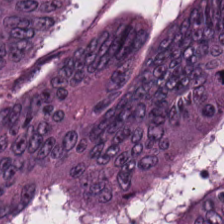H&E-stained tissue section.
Showing colorectal adenocarcinoma.
